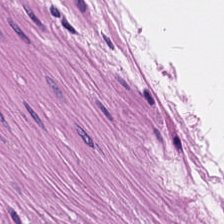Hematoxylin and eosin · WSI patch · FFPE tissue section — Q: Classify this patch.
A: It is smooth-muscle tissue.
